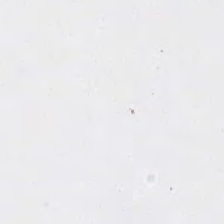{"content": "background (no tissue)"}
